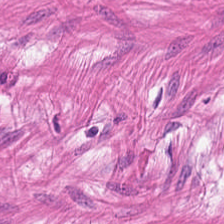H&E stain — The predominant tissue is smooth-muscle tissue.
